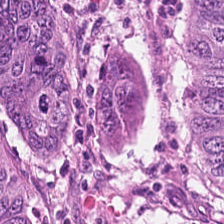H&E-stained tissue section. 20× equivalent magnification. Impression → adenocarcinoma.
